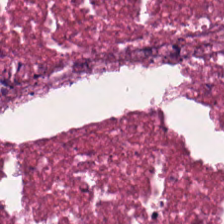H&E stain; WSI patch; formalin-fixed paraffin-embedded section — Tissue = cellular debris.
